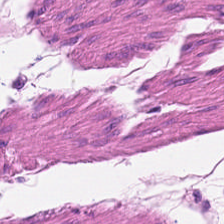Hematoxylin-and-eosin stained section.
Histology — muscularis.
